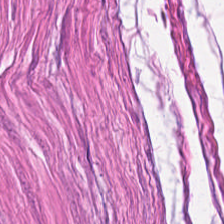FFPE · hematoxylin-and-eosin stained section.
This patch shows smooth-muscle tissue.
